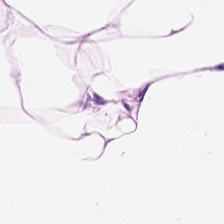H&E. The tissue here is adipocytes.
